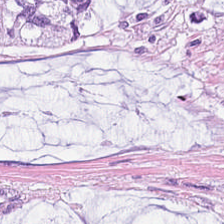H&E stain — Showing extracellular mucin.
